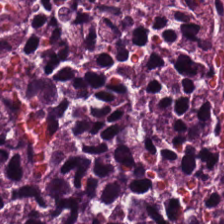H&E-stained tissue section · 20× equivalent magnification — Classification: lymphocytes.
